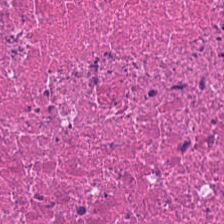H&E · FFPE tissue section · 0.5 µm per pixel.
Classification = debris.
